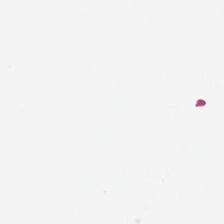Formalin-fixed paraffin-embedded section. Hematoxylin-and-eosin stained section.
Impression — background (no tissue).
